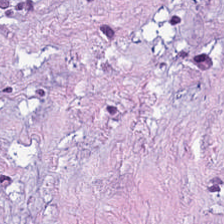H&E stain — The tissue is tumor-associated stroma.
